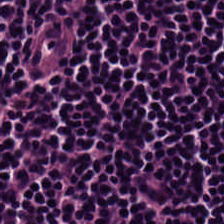Stain: hematoxylin and eosin.
Tissue type: lymphocytes.
